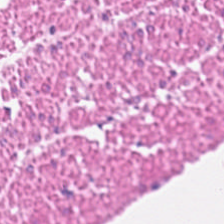Brightfield · H&E-stained tissue section · FFPE.
{"tissue_type": "smooth muscle"}
